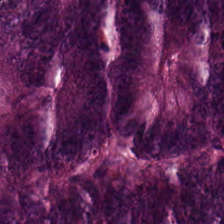H&E stain — Tissue type — malignant epithelium.
